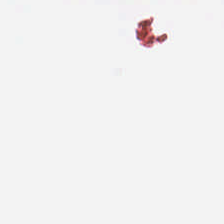Hematoxylin-and-eosin stained section.
This patch shows no tissue.
